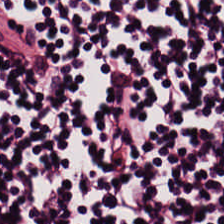224×224 pixel tile; H&E — Q: What is shown in this field?
A: It is lymphocyte aggregate.
